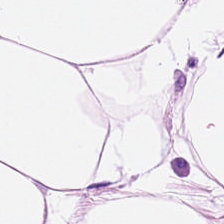Hematoxylin-and-eosin stained section.
This field is adipose.
